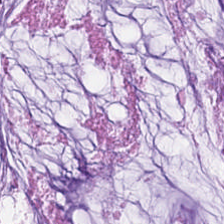H&E stain; 20× equivalent magnification — This patch shows extracellular mucin.
